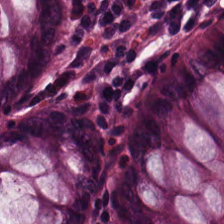WSI patch; hematoxylin-and-eosin stained section.
This patch shows normal colon mucosa.
